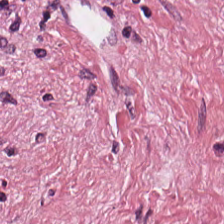Stain: hematoxylin and eosin.
Tissue: tumor stroma.
